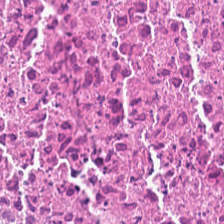H&E. Brightfield. 224×224 px patch.
Predominantly debris.
